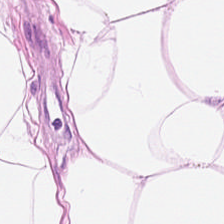Stain: hematoxylin-and-eosin stained section.
Acquisition: whole-slide-image patch.
Tile size: 224×224 pixel tile.
Tissue: adipose.
